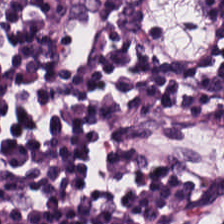H&E-stained tissue section — Tissue — lymphocyte aggregate.
